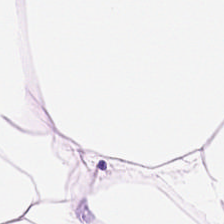0.5 µm/px · H&E · 224×224 px tile.
Showing adipocytes.
